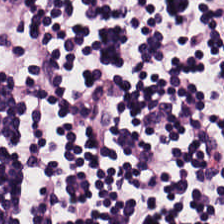H&E. 224×224 pixel tile. Brightfield — The tissue is lymphocyte aggregate.
